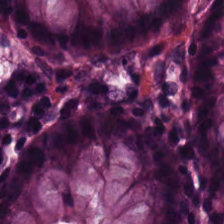224×224 px patch. Hematoxylin-and-eosin stained section — Finding → normal colonic mucosa.
